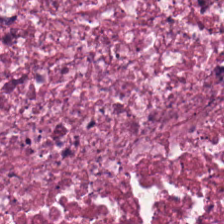This patch shows necrotic debris.
